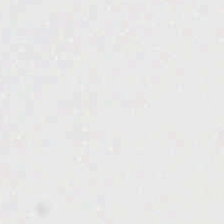Empty field — background (no tissue).
